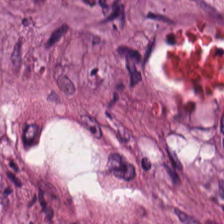Hematoxylin-and-eosin stained section — This field is cellular debris.
